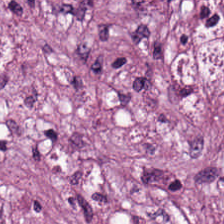Q: What is the predominant tissue type?
A: This is desmoplastic stroma.
